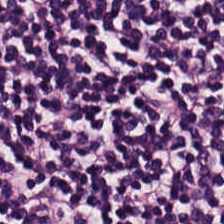0.5 µm per pixel · hematoxylin and eosin. Classification: lymphocyte aggregate.
